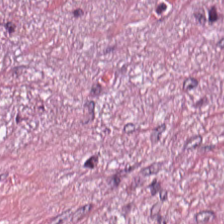Stain: H&E.
Tile size: 224×224 px tile.
Predominant tissue: cancer-associated stroma.
